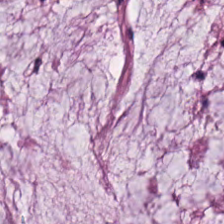FFPE tissue section; H&E stain. Mucus.
